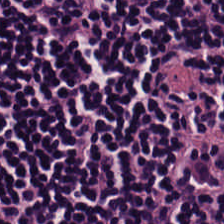H&E stain. Q: What is shown here?
A: Lymphocytic infiltrate.
